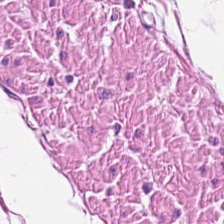H&E.
Q: Classify this patch.
A: The field shows muscularis.
